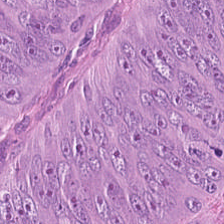H&E stain — Q: What type of tissue is this?
A: The field shows colorectal adenocarcinoma.
